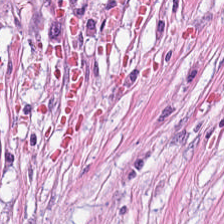The classification is tumor-associated stroma.
